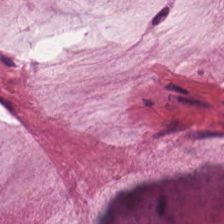The tissue type is extracellular mucin.
